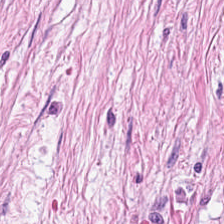Hematoxylin-and-eosin section: tumor-associated stroma.
